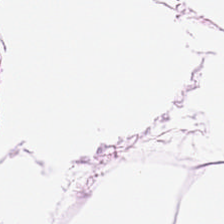Hematoxylin-and-eosin section: fat tissue.
